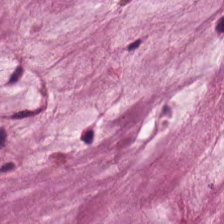H&E. This field is mucin.
